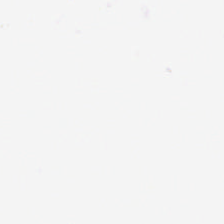0.5 µm per pixel. Hematoxylin-and-eosin stained section. Brightfield microscopy.
{"content": "empty background"}
